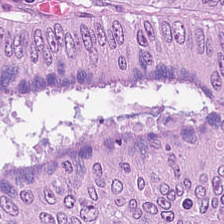Hematoxylin and eosin — This field is colorectal adenocarcinoma epithelium.
